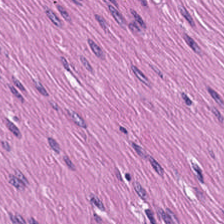H&E. Tissue type — muscularis.
